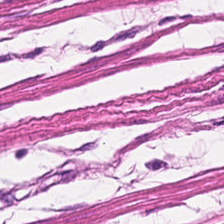Formalin-fixed paraffin-embedded section. H&E stain — Finding → smooth muscle.
